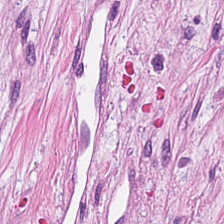Hematoxylin and eosin · formalin-fixed paraffin-embedded section — Q: Classify this patch.
A: It is desmoplastic stroma.
